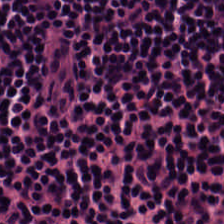Stain: H&E.
Tissue type: lymphocytic infiltrate.
